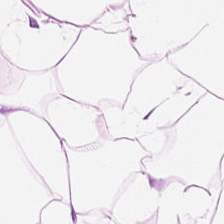Finding → adipose tissue.
